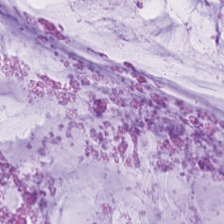224×224 pixel tile. Hematoxylin and eosin.
The tissue type is mucin.
